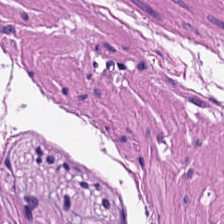H&E-stained tissue section.
This field is smooth muscle.
